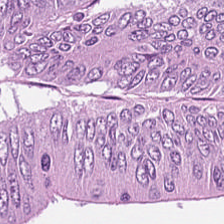Q: Classify this patch.
A: It is tumor epithelium.
